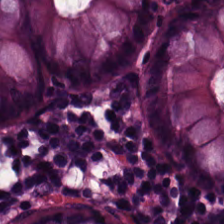H&E-stained tissue section. 20× equivalent magnification — The tissue here is benign colonic mucosa.
